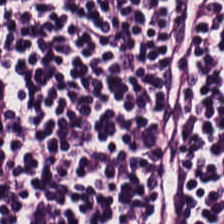Stain: hematoxylin-and-eosin stained section.
Acquisition: brightfield microscopy.
Preparation: formalin-fixed paraffin-embedded section.
Tissue: lymphocytic infiltrate.
